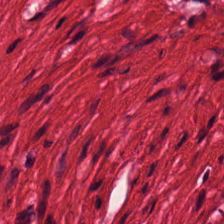Formalin-fixed paraffin-embedded section; hematoxylin-and-eosin stained section; 0.5 µm per pixel.
The tissue here is muscularis.
